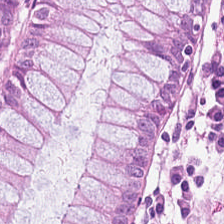WSI patch; hematoxylin and eosin; 0.5 microns per pixel. Q: What is the predominant tissue type?
A: It is benign colonic mucosa.
